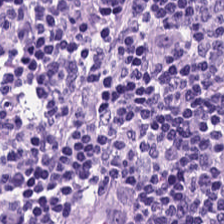Hematoxylin and eosin. The tissue here is lymphocytic infiltrate.
